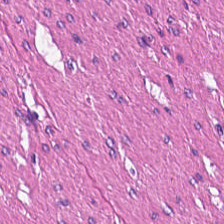Hematoxylin-and-eosin stained section.
Predominantly smooth muscle.
